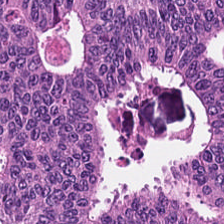Impression — tumor epithelium.
